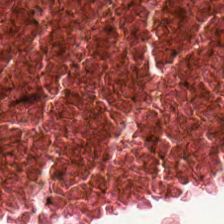H&E. This field is necrotic debris.
